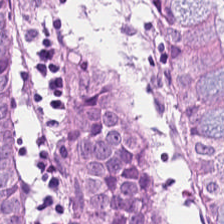Hematoxylin and eosin. The predominant tissue is benign colonic mucosa.
